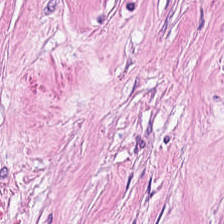Stain: hematoxylin-and-eosin stained section.
Tissue: desmoplastic stroma.
